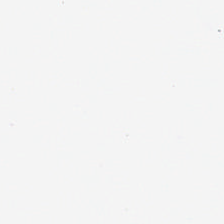H&E stain; FFPE tissue section.
Histology → no tissue.
